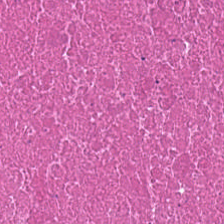H&E.
This patch shows debris.
